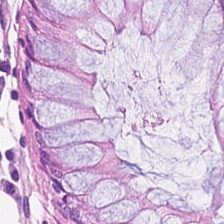Hematoxylin and eosin. Tissue class = normal colon mucosa.
